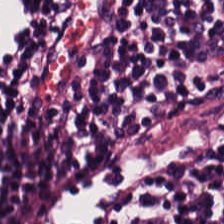H&E; FFPE.
Impression — lymphocytes.
